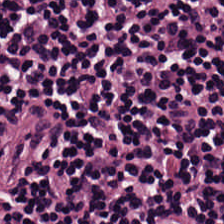Lymphocyte aggregate.
